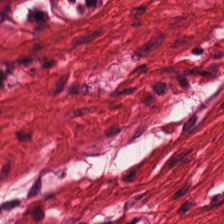FFPE tissue section. H&E — Q: Classify this patch.
A: This is smooth-muscle tissue.
